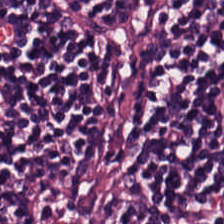Q: What type of tissue is this?
A: Lymphocytes.
